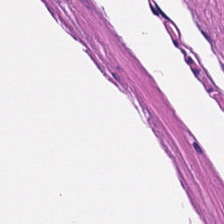H&E stain.
Q: What type of tissue is this?
A: It is smooth-muscle tissue.
